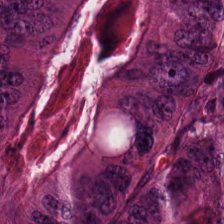Stain: hematoxylin and eosin.
Tissue class: malignant epithelium.
